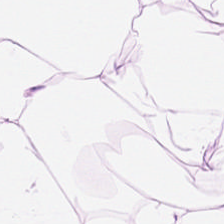Stain: H&E stain.
Tile size: 224×224 px tile.
Tissue type: adipocytes.
